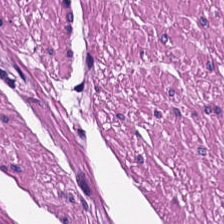Brightfield; hematoxylin-and-eosin stained section; FFPE. This patch shows smooth-muscle tissue.
